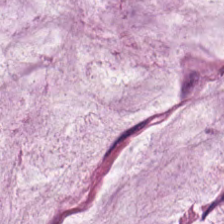H&E-stained tissue section — Showing mucin.
